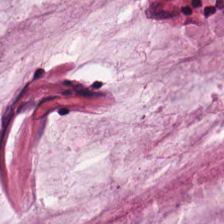Q: What type of tissue is this?
A: The field shows mucin.
